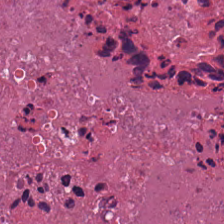224×224 px tile; H&E stain.
This field is necrotic debris.
